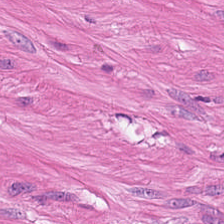Stain: H&E.
Acquisition: brightfield.
Tissue class: muscularis.
